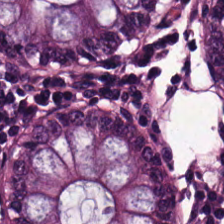Hematoxylin-and-eosin stained section.
Q: What is shown here?
A: This is non-neoplastic colon mucosa.
